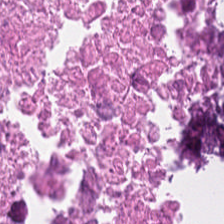0.5 µm/px. H&E. Q: Identify the tissue.
A: This is cellular debris.
